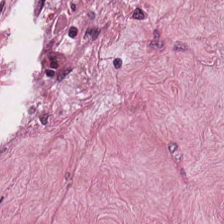Hematoxylin and eosin. WSI patch. Showing cancer-associated stroma.
